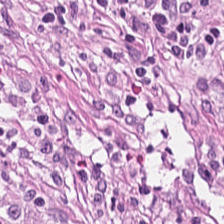H&E stain. {"tissue_type": "cancer-associated stroma"}
